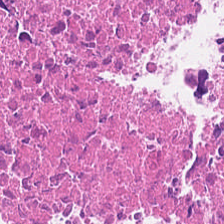Stain: hematoxylin and eosin.
Tissue type: necrotic debris.
